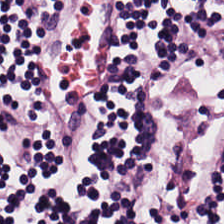H&E-stained tissue section.
The tissue here is lymphoid infiltrate.
